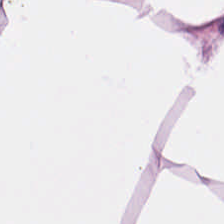Showing fat tissue.
